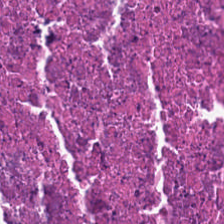H&E-stained tissue section.
The tissue here is debris.
